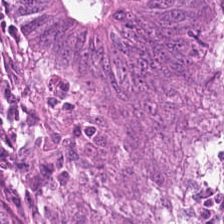FFPE tissue section. Hematoxylin-and-eosin stained section — Q: What tissue is shown?
A: It is malignant epithelium.
